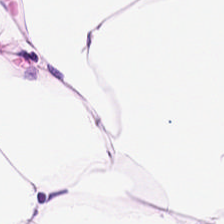H&E-stained tissue section — The tissue here is adipocytes.
